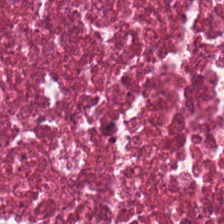Q: Classify this patch.
A: This is cellular debris.
